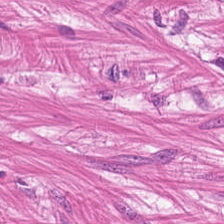H&E-stained tissue section · FFPE tissue section. Tissue: smooth muscle.
